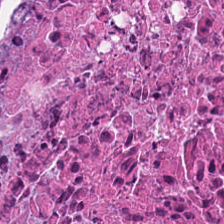0.5 µm/px · whole-slide-image patch · H&E.
Predominant tissue = cellular debris.
